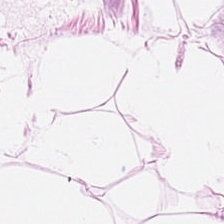FFPE; brightfield; H&E-stained tissue section. Q: What does this patch show?
A: Adipocytes.
